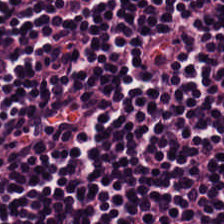H&E-stained tissue section. FFPE. 224×224 px tile. The tissue here is lymphoid infiltrate.
